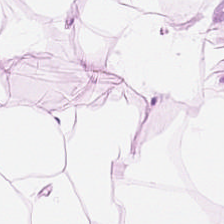FFPE tissue section · 20× equivalent magnification · H&E stain — Histology → fat tissue.
